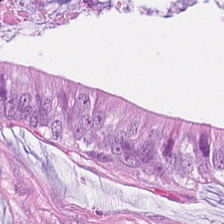Stain: hematoxylin-and-eosin stained section.
Tissue class: malignant epithelium.
